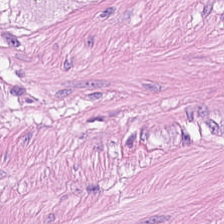The tissue here is smooth muscle.
